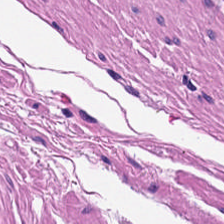H&E-stained tissue section; whole-slide-image patch. Q: What tissue type is shown here?
A: Smooth-muscle tissue.
